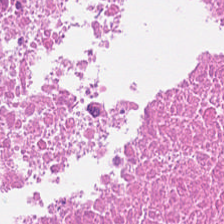H&E · WSI patch.
This field is debris.
